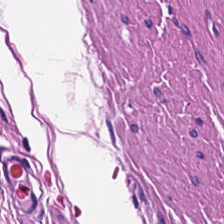Hematoxylin-and-eosin stained section; brightfield; 0.5 microns per pixel. Q: What tissue type is shown here?
A: The field shows smooth muscle.
